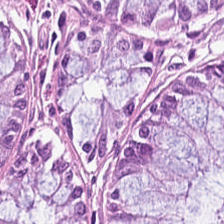H&E stain; brightfield microscopy.
This field is benign colonic mucosa.
